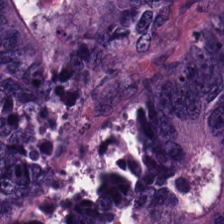WSI patch · H&E — {"tissue_type": "colorectal adenocarcinoma epithelium"}
